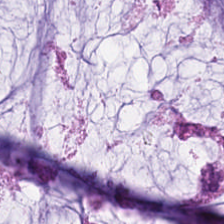Stain: H&E.
Tile size: 224×224 px patch.
Classification: mucus.
